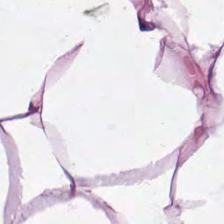0.5 microns per pixel. Hematoxylin-and-eosin stained section.
Predominantly adipose.
